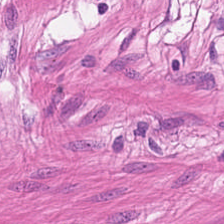Stain: H&E-stained tissue section.
Tissue class: muscularis.
